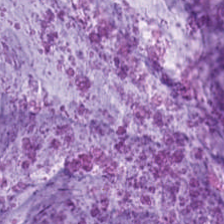The tissue here is mucus.
